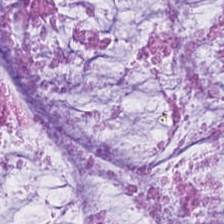Hematoxylin-and-eosin stained section. Classification: mucin.
